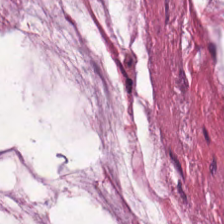Histology — extracellular mucin.
